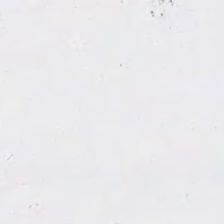Hematoxylin and eosin. Formalin-fixed paraffin-embedded section — The classification is background.
